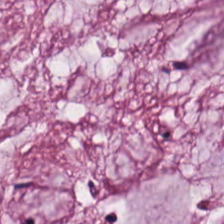H&E-stained tissue section. 224×224 px tile.
Histology — mucin.
